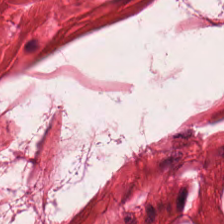Stain: H&E stain.
Tissue type: smooth-muscle tissue.
